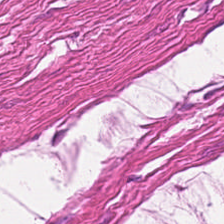Hematoxylin and eosin. Q: Classify this patch.
A: Smooth-muscle tissue.
